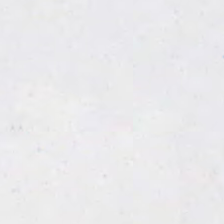Brightfield microscopy. H&E-stained tissue section — This field is background (no tissue).
